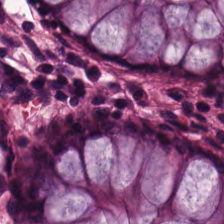Predominant tissue — normal colon mucosa.
